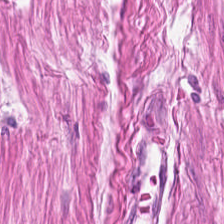H&E-stained tissue section — Muscularis.
